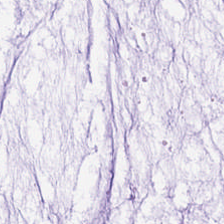Hematoxylin and eosin · 20× equivalent magnification.
Tissue type — mucus.
